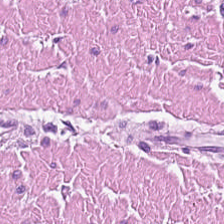H&E-stained tissue section · whole-slide-image patch · 0.5 µm per pixel — Histology → smooth-muscle tissue.
